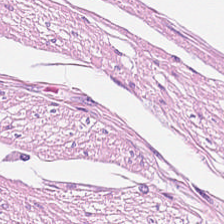Stain: H&E-stained tissue section.
Tissue class: muscularis.
